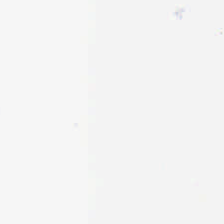Histology → empty background.
